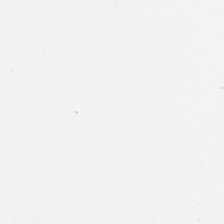0.5 microns per pixel; 224×224 px patch; hematoxylin and eosin. Q: What is shown here?
A: It is no tissue.
